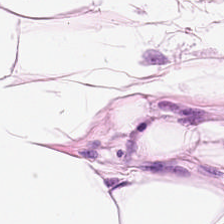Q: What type of tissue is this?
A: This is adipose tissue.
